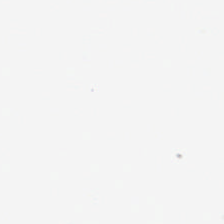Whole-slide-image patch. H&E-stained tissue section. Q: What does this patch show?
A: Empty background.
